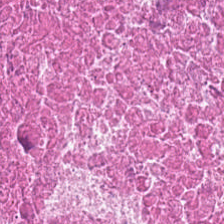Hematoxylin and eosin. WSI patch.
The predominant tissue is cellular debris.
